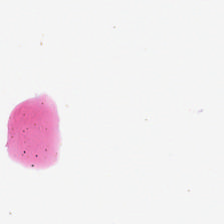This field is background (no tissue).
